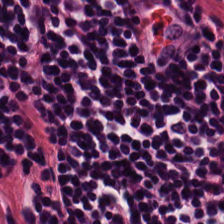H&E. Classification — lymphoid infiltrate.
